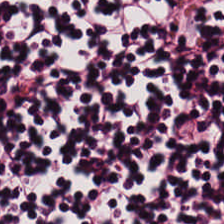Finding — lymphocytes.
